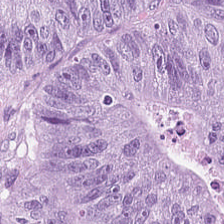20× equivalent magnification · hematoxylin-and-eosin stained section — Predominantly colorectal adenocarcinoma.
